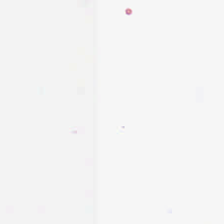H&E-stained tissue section.
This field is background (no tissue).
